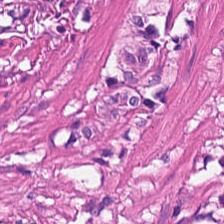Hematoxylin and eosin. Tissue: smooth-muscle tissue.
